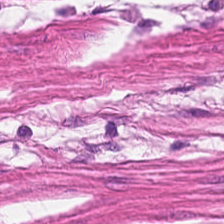Hematoxylin and eosin · WSI patch. Tissue type — smooth-muscle tissue.
